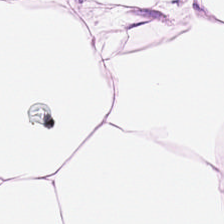0.5 µm/px; hematoxylin-and-eosin stained section. Showing adipose.
